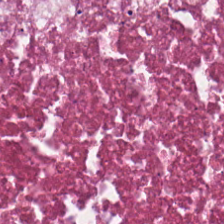Hematoxylin and eosin. WSI patch. The tissue here is debris.
